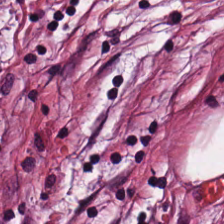FFPE tissue section; hematoxylin and eosin; 0.5 µm per pixel — Q: What tissue type is shown here?
A: This is desmoplastic stroma.
